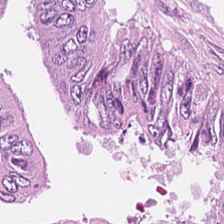FFPE. 0.5 µm/px. Hematoxylin and eosin. This field is adenocarcinoma.
